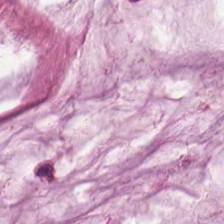H&E-stained tissue section.
Q: What is shown in this field?
A: The field shows mucin.
